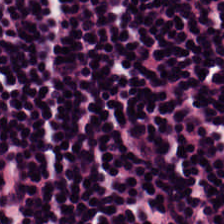H&E — Finding → lymphoid infiltrate.
